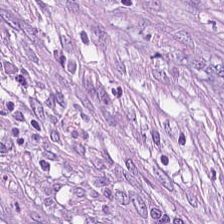H&E — The tissue here is tumor-associated stroma.
